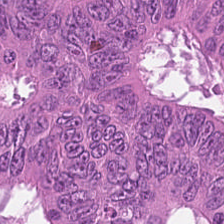Hematoxylin and eosin. Classification — colorectal adenocarcinoma epithelium.
